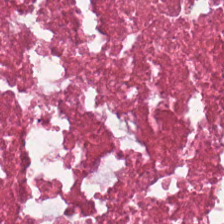Predominant tissue = debris.
